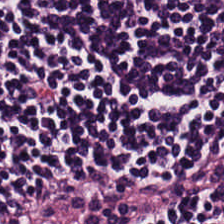FFPE · H&E. Tissue class: lymphocytic infiltrate.
